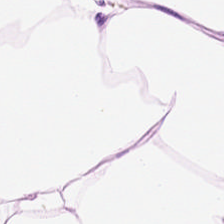H&E stain — The predominant tissue is adipocytes.
